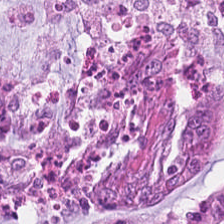This field is malignant epithelium.
